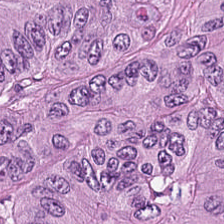224×224 pixel tile. FFPE. H&E stain. Finding → tumor epithelium.
